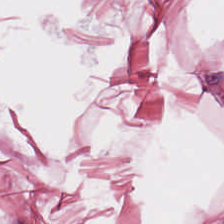WSI patch; 224×224 px patch; hematoxylin-and-eosin stained section. Q: What is shown in this field?
A: This is adipose.
